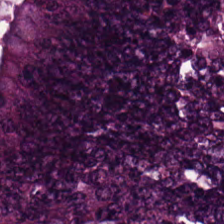Hematoxylin and eosin. FFPE — Adenocarcinoma.
